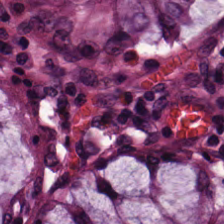The tissue class is benign colonic mucosa.
